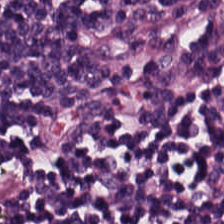FFPE; hematoxylin and eosin — Tissue type: lymphocytic infiltrate.
